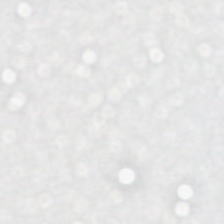WSI patch · FFPE tissue section · H&E-stained tissue section.
Q: What does this patch show?
A: Empty background.
